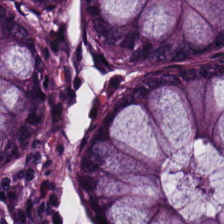H&E-stained tissue section · WSI patch. Predominantly non-neoplastic colon mucosa.
